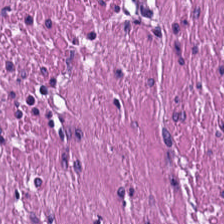H&E-stained tissue section; 224×224 pixel tile — The tissue type is muscularis.
